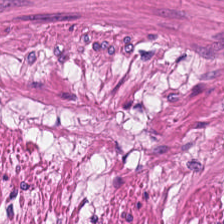Stain: H&E-stained tissue section.
Preparation: FFPE tissue section.
Tile size: 224×224 pixel tile.
Predominant tissue: smooth-muscle tissue.
